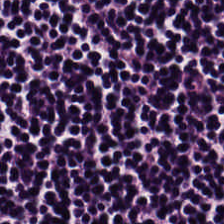H&E stain. This patch shows lymphocytes.
